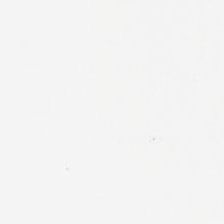H&E stain — Field content: empty background.
